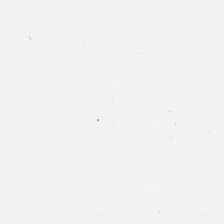Stain: hematoxylin and eosin.
Preparation: FFPE tissue section.
Classification: background.
